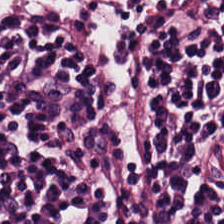The tissue is lymphocyte aggregate.
